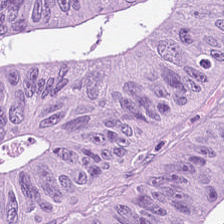WSI patch. H&E-stained tissue section. 0.5 µm/px — The predominant tissue is malignant epithelium.
